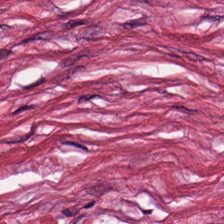H&E.
Histology → tumor-associated stroma.
